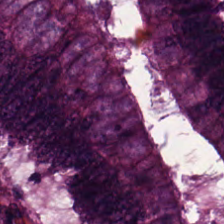Hematoxylin and eosin · 20× equivalent magnification · brightfield microscopy — Finding — adenocarcinoma.
